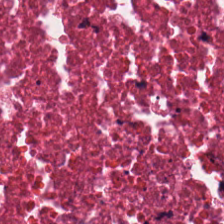20× equivalent magnification; H&E-stained tissue section.
Classification = cellular debris.
